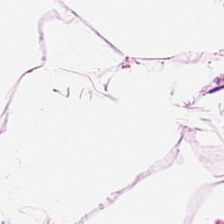0.5 microns per pixel · H&E stain — Tissue: fat tissue.
